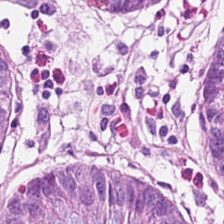H&E. The tissue here is non-neoplastic colon mucosa.
